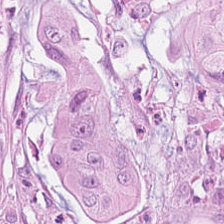Hematoxylin-and-eosin stained section. Q: What tissue is shown?
A: Colorectal adenocarcinoma epithelium.
